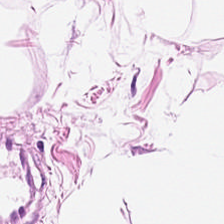H&E — The tissue is fat tissue.
